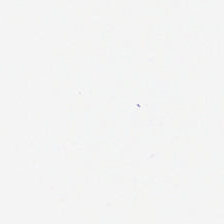Stain: hematoxylin and eosin.
Acquisition: WSI patch.
Preparation: formalin-fixed paraffin-embedded section.
Classification: background.
